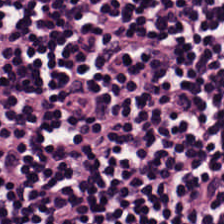0.5 microns per pixel; brightfield; hematoxylin-and-eosin stained section.
Predominant tissue = lymphoid infiltrate.
